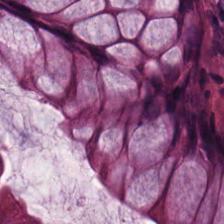H&E-stained tissue section — Normal colonic mucosa.
